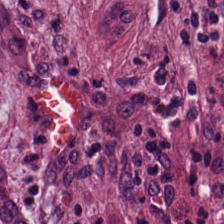Classification — cancer-associated stroma.
